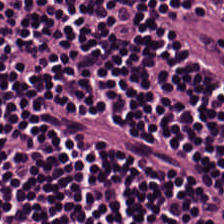224×224 px tile · hematoxylin and eosin · formalin-fixed paraffin-embedded section. Showing lymphocyte aggregate.
